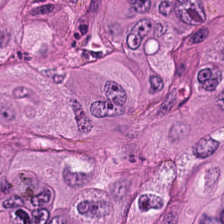0.5 µm per pixel · H&E · 224×224 px tile. Q: Identify the tissue.
A: It is colorectal adenocarcinoma.
